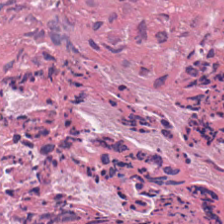Hematoxylin and eosin. Brightfield.
The tissue type is cellular debris.
